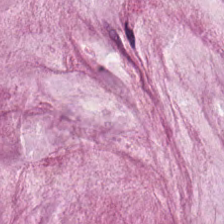H&E. Brightfield microscopy. 20× equivalent magnification — Showing mucin.
